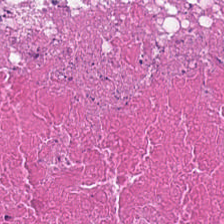H&E-stained tissue section; formalin-fixed paraffin-embedded section; 0.5 µm/px. Q: What is shown in this field?
A: It is necrotic debris.
